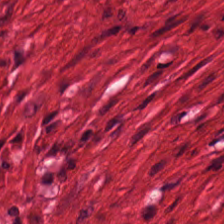H&E stain.
Q: What is shown in this field?
A: It is smooth-muscle tissue.
